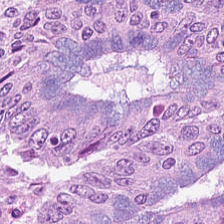Hematoxylin-and-eosin stained section. Q: What tissue is shown?
A: The field shows tumor epithelium.
